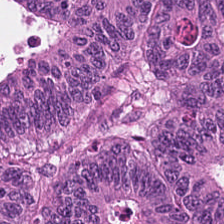Finding → malignant epithelium.
